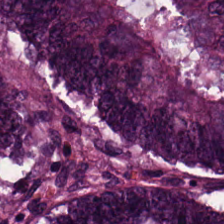H&E.
Classification: colorectal adenocarcinoma.
